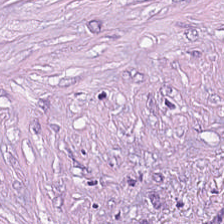Cancer-associated stroma.
